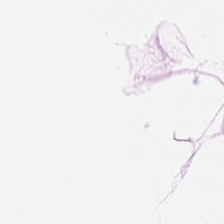The tissue here is adipocytes.
